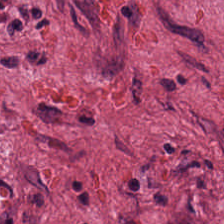224×224 pixel tile; H&E-stained tissue section — The tissue here is tumor-associated stroma.
